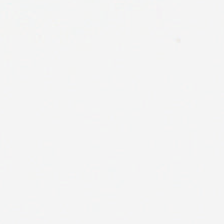Hematoxylin and eosin. Brightfield. Q: What is shown here?
A: It is no tissue.
